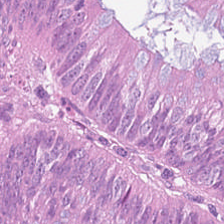20× equivalent magnification; hematoxylin and eosin. Histology — tumor epithelium.
